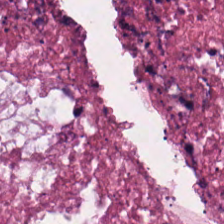H&E-stained tissue section — Tissue class: cellular debris.
